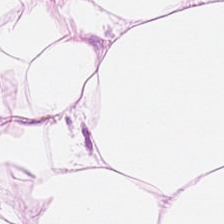H&E-stained tissue section — Tissue type = adipose.
